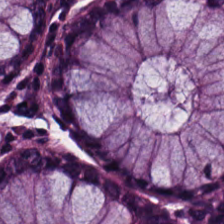H&E-stained tissue section. Finding → normal colonic mucosa.
